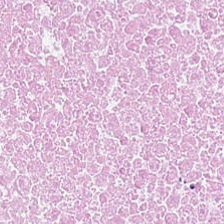Hematoxylin-and-eosin stained section — {"tissue_type": "cellular debris"}
